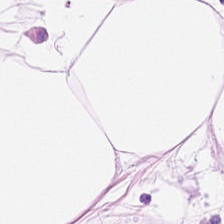Predominantly adipose.
